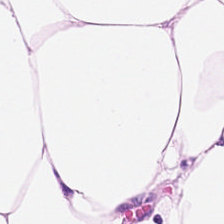The predominant tissue is adipocytes.
